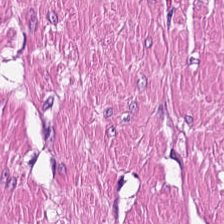224×224 px patch; whole-slide-image patch; H&E — Histology → smooth-muscle tissue.
